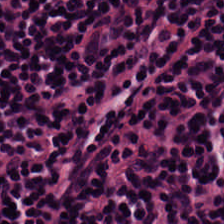H&E-stained tissue section showing lymphocyte aggregate.
